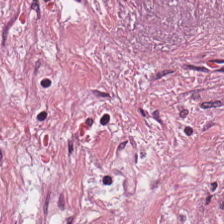Hematoxylin-and-eosin stained section.
Predominant tissue: tumor stroma.
